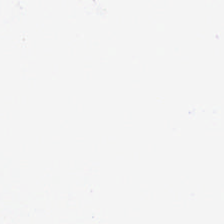Q: Classify this patch.
A: The field shows background.
